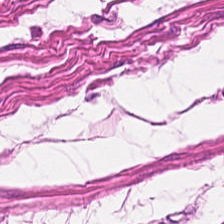Stain: H&E stain.
Tissue type: smooth muscle.
